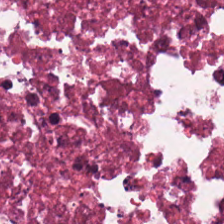H&E stain.
Q: What is the predominant tissue type?
A: Debris.
